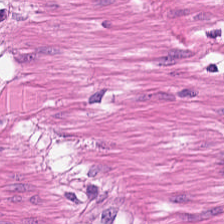H&E-stained tissue section. Classification — smooth-muscle tissue.
